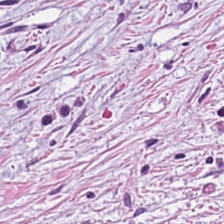Stain: H&E stain.
Acquisition: WSI patch.
Preparation: FFPE.
Classification: desmoplastic stroma.
